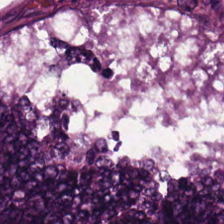H&E patch showing malignant epithelium.
